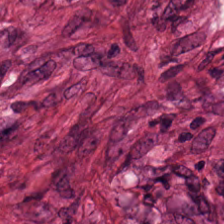Hematoxylin-and-eosin stained section · formalin-fixed paraffin-embedded section.
The tissue class is cancer-associated stroma.
